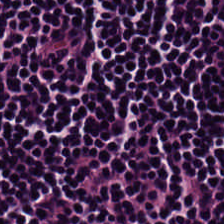H&E-stained tissue section · whole-slide-image patch · 224×224 pixel tile. Impression → lymphocytes.
